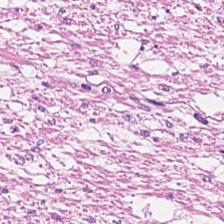Formalin-fixed paraffin-embedded section · H&E-stained tissue section.
Histology — smooth-muscle tissue.
